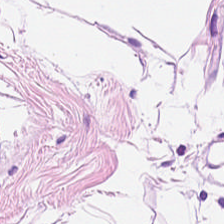Q: What is the predominant tissue type?
A: This is fat tissue.
